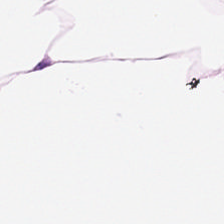20× equivalent magnification · H&E · formalin-fixed paraffin-embedded section. Q: What is shown in this field?
A: Fat tissue.
